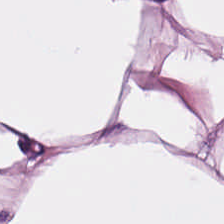H&E patch showing adipocytes.
